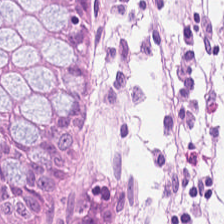H&E — benign colonic mucosa.
